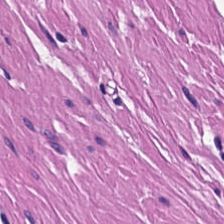Finding — muscularis.
